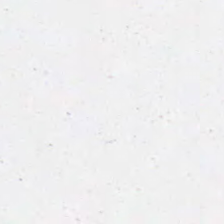224×224 pixel tile · H&E · 0.5 µm/px.
Q: Classify this patch.
A: It is background (no tissue).
